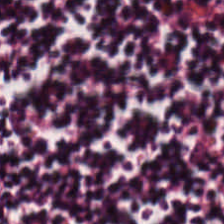224×224 px patch. H&E-stained tissue section. Q: What tissue type is shown here?
A: The field shows lymphocytes.
